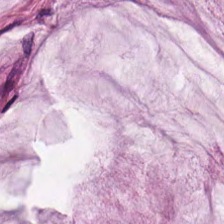H&E — Impression — extracellular mucin.
